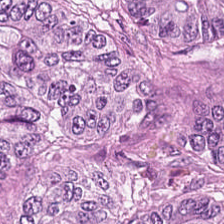H&E stain.
Q: What does this patch show?
A: The field shows colorectal adenocarcinoma epithelium.
